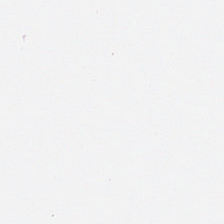Hematoxylin and eosin. 224×224 px patch. Background (no tissue).
